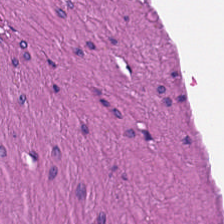Hematoxylin-and-eosin stained section. Showing muscularis.
